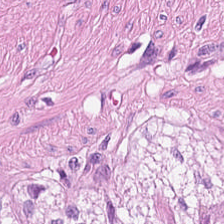Whole-slide-image patch. H&E. {"tissue_type": "muscularis"}
